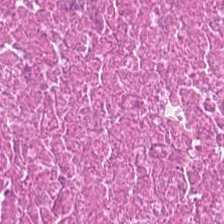Impression → debris.
